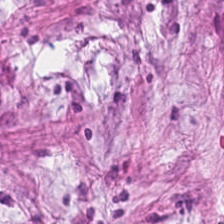H&E stain. Showing tumor-associated stroma.
